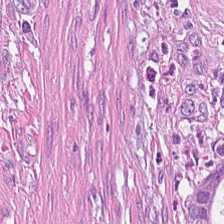Stain: H&E-stained tissue section.
Tile size: 224×224 pixel tile.
Resolution: 0.5 µm per pixel.
Predominant tissue: cancer-associated stroma.
